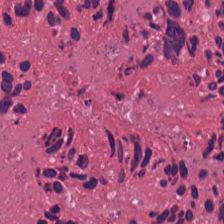Tissue: cellular debris.
